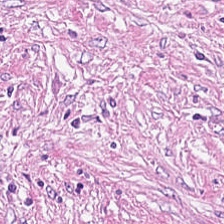Hematoxylin-and-eosin stained section. Q: What is the predominant tissue type?
A: This is cancer-associated stroma.
